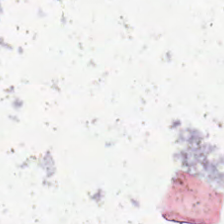Stain: hematoxylin-and-eosin stained section.
Content: background.
